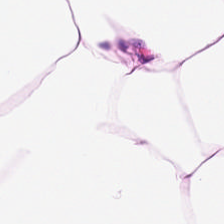H&E-stained tissue section.
This field is fat tissue.
